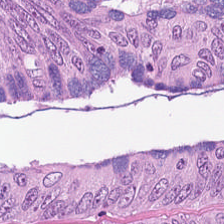0.5 µm per pixel; H&E-stained tissue section — Tissue type: colorectal adenocarcinoma epithelium.
